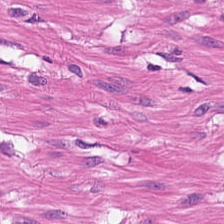H&E-stained tissue section.
Q: Identify the tissue.
A: Smooth muscle.
